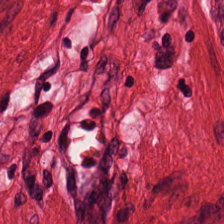Hematoxylin and eosin. Smooth muscle.
